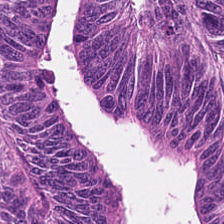Showing tumor epithelium.
